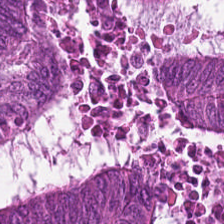224×224 pixel tile; hematoxylin-and-eosin stained section — Predominantly colorectal adenocarcinoma.
